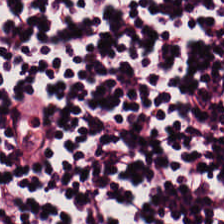The tissue here is lymphocytic infiltrate.
